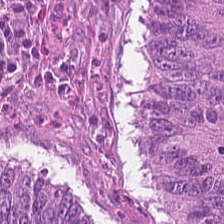224×224 pixel tile; FFPE tissue section; hematoxylin-and-eosin stained section — Histology — colorectal adenocarcinoma.
